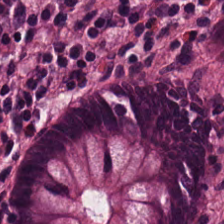H&E-stained tissue section. Q: What is shown here?
A: Benign colonic mucosa.
